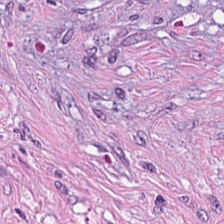H&E. 224×224 px patch — Predominant tissue: tumor stroma.
